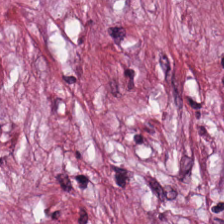Stain: hematoxylin and eosin.
Tile size: 224×224 px tile.
Predominant tissue: desmoplastic stroma.
